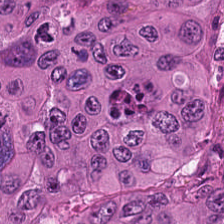H&E stain. Q: Classify this patch.
A: The field shows colorectal adenocarcinoma epithelium.
